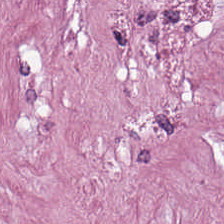224×224 px patch · H&E stain. Histology — tumor-associated stroma.
